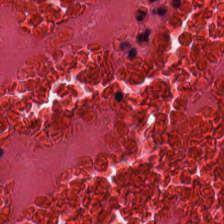Hematoxylin-and-eosin section: debris.
